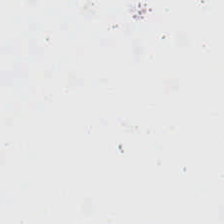Stain: H&E stain.
Classification: empty background.
